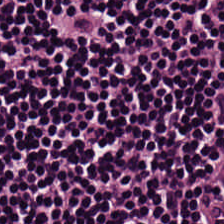H&E-stained tissue section — Showing lymphocytic infiltrate.
